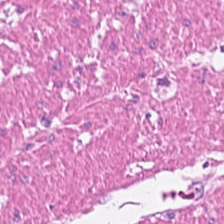FFPE · hematoxylin-and-eosin stained section — The tissue class is muscularis.
